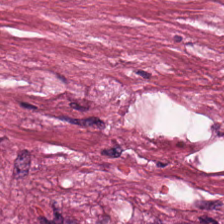Hematoxylin and eosin — This field is cellular debris.
